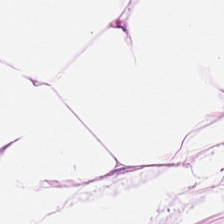H&E; brightfield.
Classification — adipose tissue.
